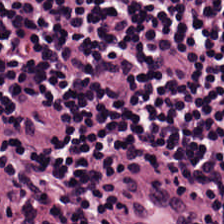H&E — The tissue type is lymphocytic infiltrate.
